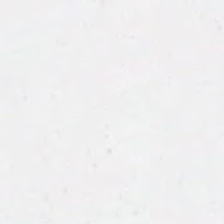Whole-slide-image patch; 0.5 microns per pixel; hematoxylin-and-eosin stained section. Content — no tissue.
